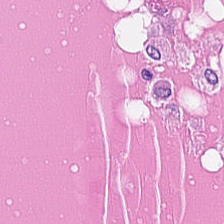Brightfield. H&E-stained tissue section.
The tissue here is debris.
